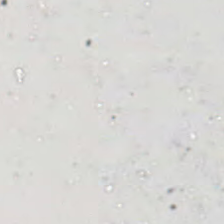Background — no tissue in this field.
